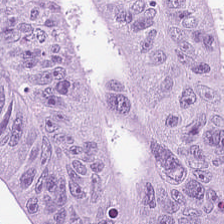Hematoxylin-and-eosin stained section — Showing colorectal adenocarcinoma epithelium.
